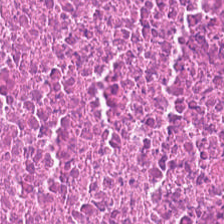H&E stain; 0.5 µm per pixel — Predominant tissue = cellular debris.
